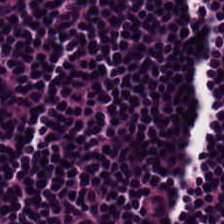Stain: hematoxylin and eosin.
Preparation: FFPE.
Tissue type: lymphocytic infiltrate.
